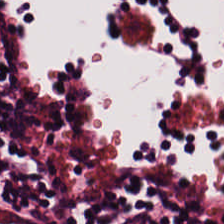0.5 µm/px · formalin-fixed paraffin-embedded section · H&E-stained tissue section.
Finding → lymphocyte aggregate.
